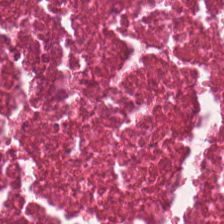Hematoxylin and eosin · 224×224 pixel tile.
Q: What is the predominant tissue type?
A: Debris.
